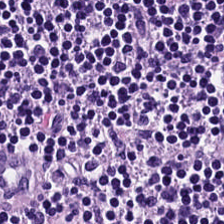FFPE tissue section. H&E stain — Finding → lymphoid infiltrate.
